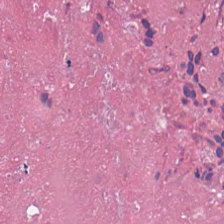H&E stain.
Tissue: necrotic debris.
